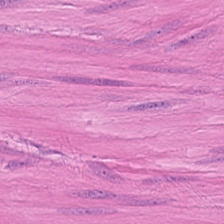Hematoxylin and eosin.
Tissue class — muscularis.
